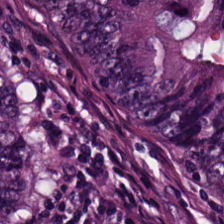H&E. Classification: colorectal adenocarcinoma.
